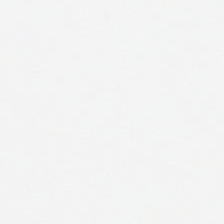Brightfield microscopy; H&E-stained tissue section; FFPE tissue section.
Q: What is shown in this field?
A: Background (no tissue).
